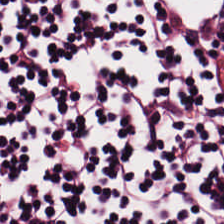H&E stain · WSI patch.
Predominantly lymphocyte aggregate.
